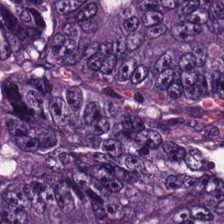Q: What is the predominant tissue type?
A: The field shows malignant epithelium.
